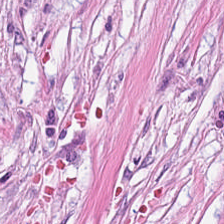WSI patch. 20× equivalent magnification. Hematoxylin-and-eosin stained section. The tissue here is desmoplastic stroma.
